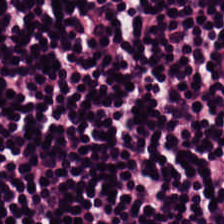H&E-stained tissue section — Showing lymphoid infiltrate.
